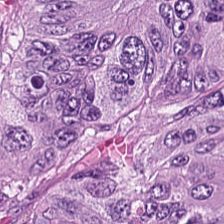224×224 pixel tile · H&E stain. Showing tumor epithelium.
